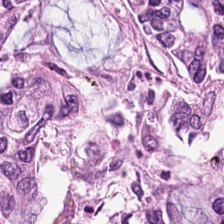Hematoxylin-and-eosin stained section.
Q: What is shown here?
A: Tumor epithelium.
